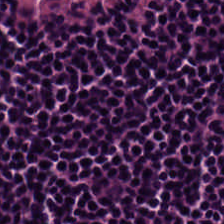Hematoxylin-and-eosin stained section — Histology — lymphoid infiltrate.
